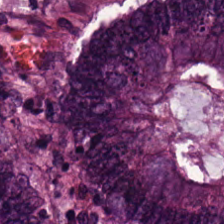H&E — adenocarcinoma.
